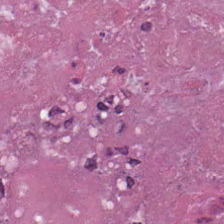The predominant tissue is necrotic debris.
